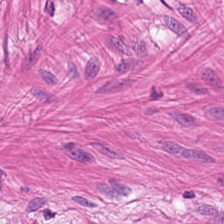Q: What does this patch show?
A: It is smooth muscle.
